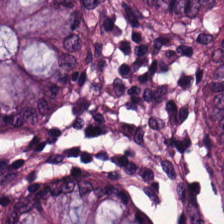Predominant tissue: non-neoplastic colon mucosa.
